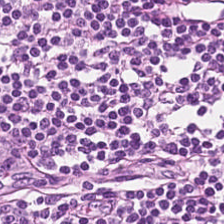FFPE. Hematoxylin-and-eosin stained section.
Q: Classify this patch.
A: The field shows lymphocytic infiltrate.
